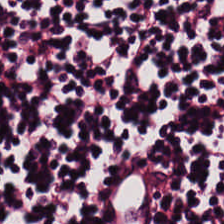Hematoxylin-and-eosin stained section. FFPE. WSI patch. Classification: lymphocytes.
